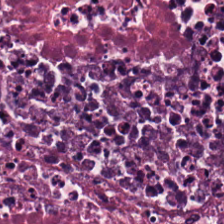H&E stain — Q: What is shown here?
A: The field shows necrotic debris.
